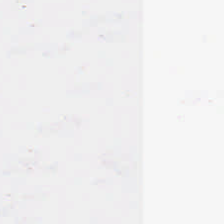H&E-stained tissue section.
Background — no tissue in this field.
